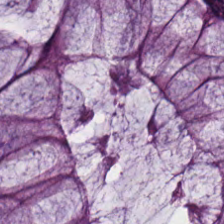Classification = normal colon mucosa.
